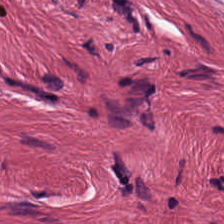Hematoxylin-and-eosin stained section — This patch shows tumor stroma.
